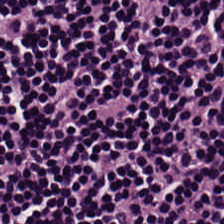H&E-stained tissue section; 224×224 px patch; whole-slide-image patch. Q: What is the predominant tissue type?
A: Lymphocytes.
